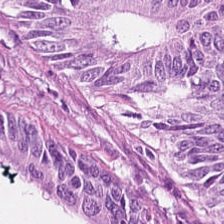H&E — Tissue class = tumor epithelium.
